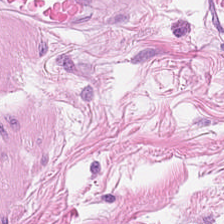Hematoxylin-and-eosin stained section; 0.5 µm/px — Muscularis.
